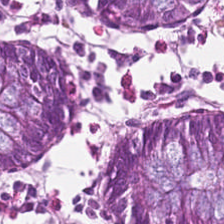Stain: hematoxylin-and-eosin stained section.
Tile size: 224×224 px patch.
Resolution: 0.5 microns per pixel.
Tissue type: non-neoplastic colon mucosa.
